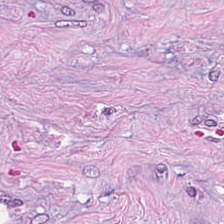Stain: H&E stain.
Preparation: formalin-fixed paraffin-embedded section.
Tissue type: tumor stroma.
